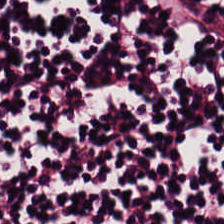H&E stain — The tissue is lymphocytes.
